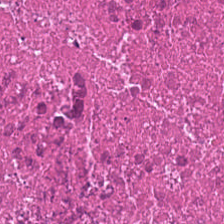Histology → cellular debris.
